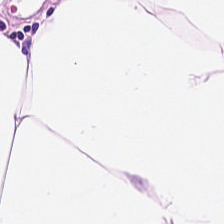Stain: hematoxylin and eosin.
Resolution: 0.5 microns per pixel.
Acquisition: brightfield.
Classification: adipocytes.
